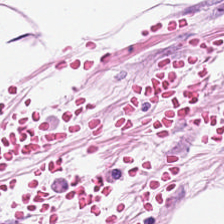Hematoxylin and eosin — Tissue class: adipocytes.
